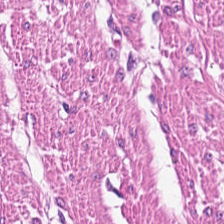H&E. Showing muscularis.
